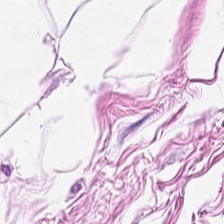Adipose tissue.
